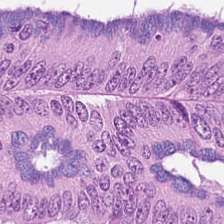Stain: H&E-stained tissue section.
Predominant tissue: malignant epithelium.
